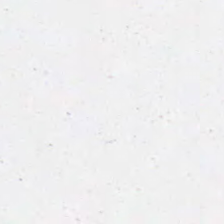H&E stain. Brightfield. FFPE — No tissue present; background only.
